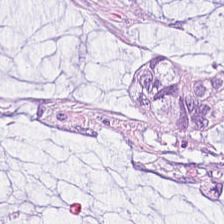Histology — mucin.
